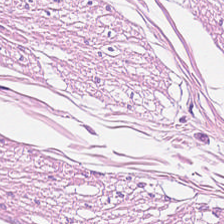H&E stain.
Tissue class = smooth-muscle tissue.
